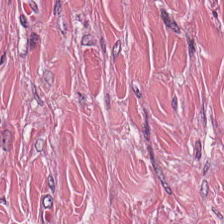Hematoxylin-and-eosin stained section · formalin-fixed paraffin-embedded section · 0.5 µm/px. Tissue type — tumor-associated stroma.
